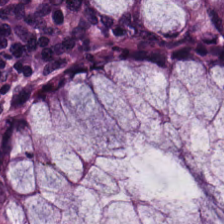Stain: H&E-stained tissue section.
Tissue type: normal colon mucosa.
